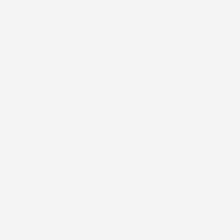H&E — The field content is no tissue.
